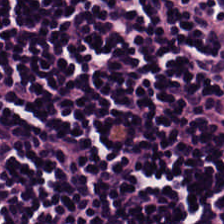H&E stain.
Tissue type = lymphocytic infiltrate.
